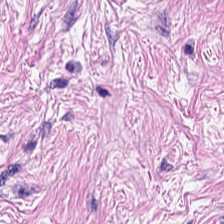H&E — desmoplastic stroma.
